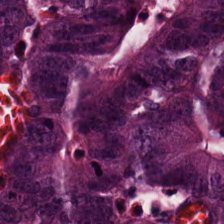H&E-stained tissue section showing colorectal adenocarcinoma.
